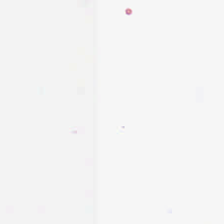Empty field — background.
